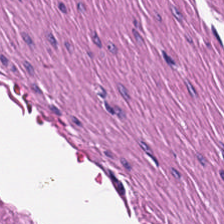FFPE tissue section. H&E stain. 0.5 µm/px — Classification — smooth-muscle tissue.
